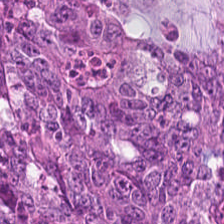Stain: hematoxylin-and-eosin stained section.
Tissue class: adenocarcinoma.
